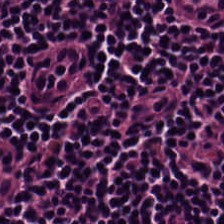Hematoxylin and eosin. Lymphocytes.
